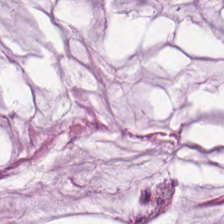Hematoxylin and eosin · 0.5 µm/px. This patch shows mucus.
